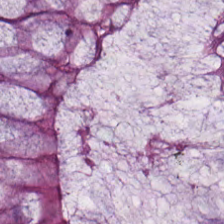H&E — Classification: normal colon mucosa.
